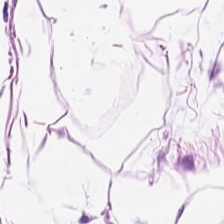Stain: hematoxylin-and-eosin stained section.
Tissue type: adipose.
